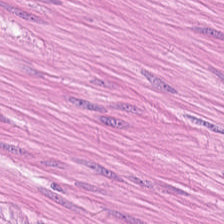H&E-stained tissue section.
The predominant tissue is muscularis.
